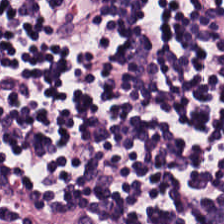Q: What type of tissue is this?
A: It is lymphoid infiltrate.
